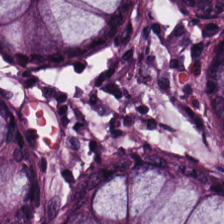H&E stain.
Normal colon mucosa.
